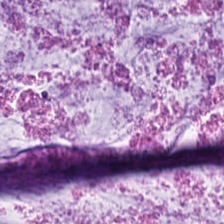Stain: hematoxylin and eosin.
Tissue class: mucin.
